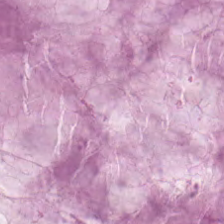Hematoxylin-and-eosin stained section — Histology — extracellular mucin.
